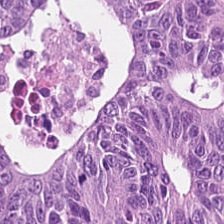H&E-stained tissue section. FFPE. Tissue type = malignant epithelium.
